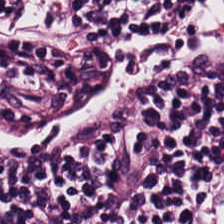H&E stain. {"tissue_type": "lymphocytes"}
